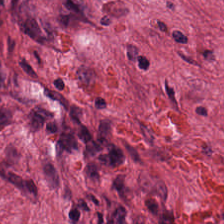Hematoxylin and eosin.
Impression — tumor stroma.
